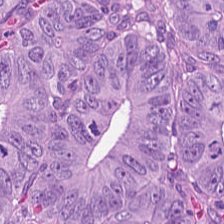H&E stain.
Q: What does this patch show?
A: It is adenocarcinoma.
